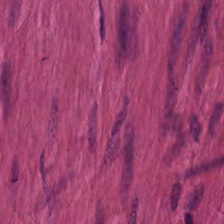Hematoxylin and eosin. Tissue: smooth muscle.
